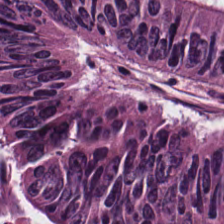This field is malignant epithelium.
